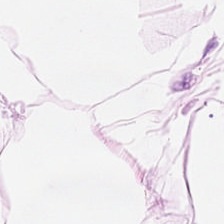H&E stain — Adipose.
